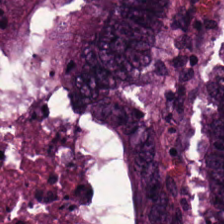H&E-stained tissue section. FFPE — Tissue: malignant epithelium.
